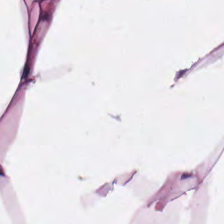Hematoxylin-and-eosin stained section — Predominant tissue: adipocytes.
